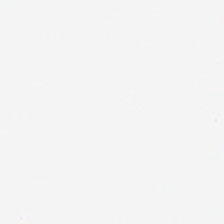H&E-stained tissue section; brightfield.
The content is empty background.
